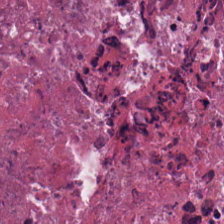H&E stain · FFPE tissue section. {"tissue_type": "necrotic debris"}
